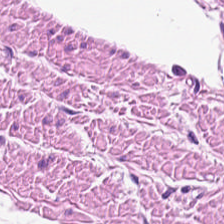H&E. Showing smooth-muscle tissue.
